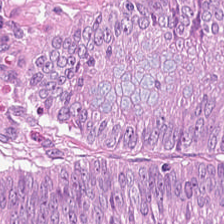H&E — Predominantly malignant epithelium.
